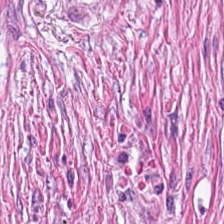Hematoxylin and eosin. Tissue: cancer-associated stroma.
